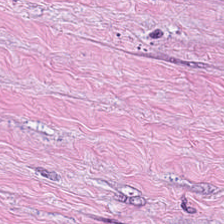FFPE tissue section; H&E stain — Showing cancer-associated stroma.
